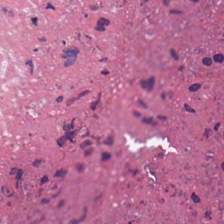Tissue type: cellular debris.
